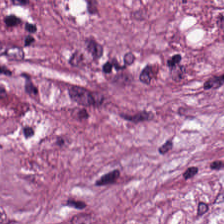0.5 µm per pixel · hematoxylin-and-eosin stained section. Histology — tumor-associated stroma.
